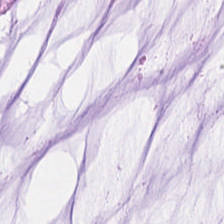H&E · 224×224 px patch — Classification — mucus.
